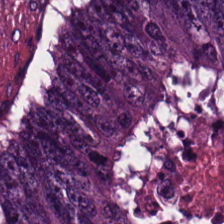Hematoxylin and eosin.
Predominant tissue: tumor epithelium.
